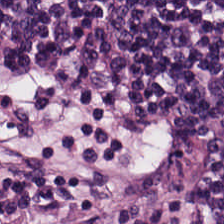H&E-stained tissue section.
Q: What type of tissue is this?
A: The field shows lymphoid infiltrate.
